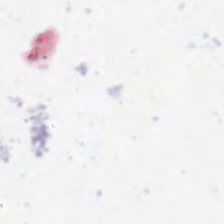H&E stain; WSI patch. Finding — empty background.
